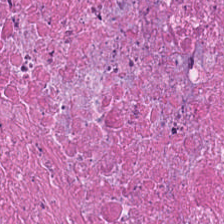H&E-stained tissue section showing necrotic debris.
